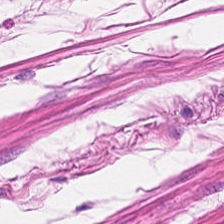H&E. 0.5 microns per pixel — This field is smooth-muscle tissue.
